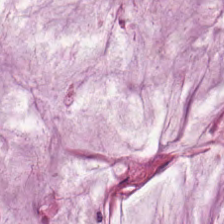Hematoxylin-and-eosin stained section. WSI patch.
Predominant tissue: extracellular mucin.
